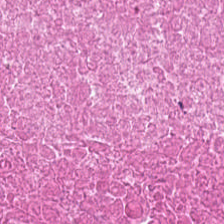H&E — The classification is debris.
